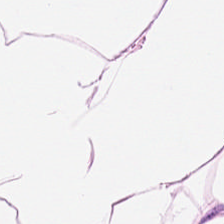Whole-slide-image patch · hematoxylin and eosin · 224×224 pixel tile — This patch shows adipocytes.
